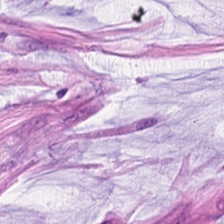H&E stain. Tissue type — extracellular mucin.
